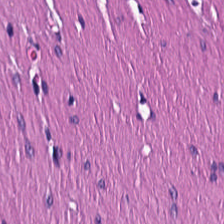0.5 µm per pixel · hematoxylin and eosin.
Q: What is shown here?
A: This is smooth muscle.
